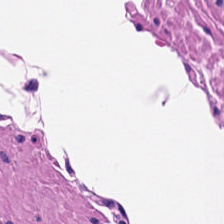Hematoxylin and eosin — Tissue = smooth muscle.
